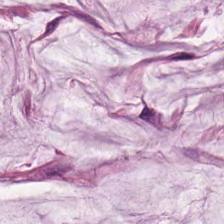0.5 microns per pixel; H&E.
Predominant tissue: mucin.
